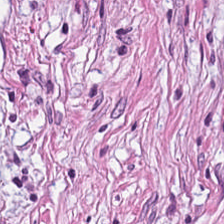H&E stain · FFPE tissue section.
Classification — tumor-associated stroma.
